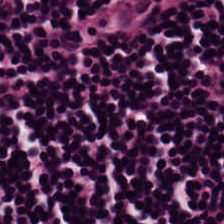H&E — The tissue is lymphoid infiltrate.
